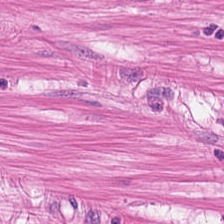Hematoxylin-and-eosin stained section · FFPE.
The predominant tissue is muscularis.
